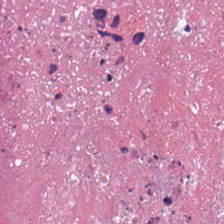H&E stain · WSI patch.
Predominantly cellular debris.
